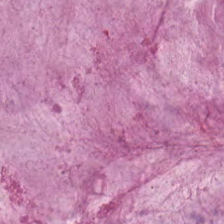H&E stain. FFPE tissue section. Predominantly mucin.
